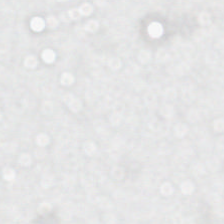Impression → no tissue.
